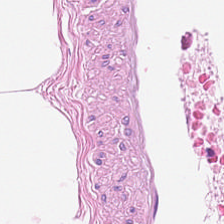H&E stain · FFPE tissue section. {"tissue_type": "adipose"}
